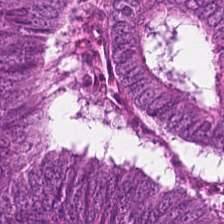Q: What is shown in this field?
A: Tumor epithelium.
